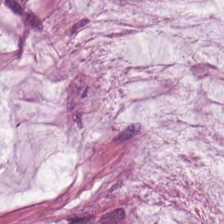H&E-stained tissue section showing mucin.
